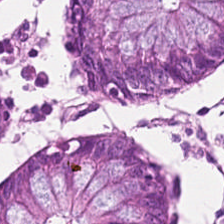H&E. Classification: non-neoplastic colon mucosa.
